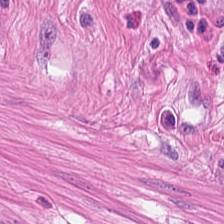Hematoxylin and eosin. This field is muscularis.
